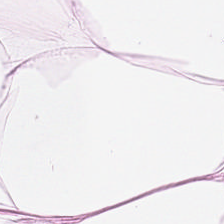Hematoxylin and eosin.
Impression → adipose.
